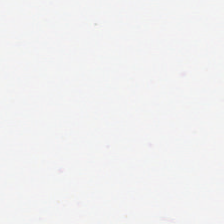H&E-stained tissue section; brightfield; FFPE. Field content = background.
